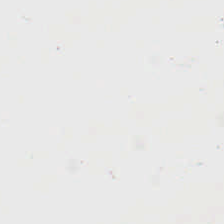Hematoxylin and eosin. WSI patch.
No tissue present; background only.
